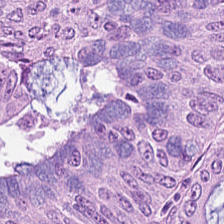Predominantly adenocarcinoma.
